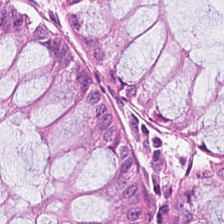Hematoxylin-and-eosin stained section. 224×224 pixel tile. Q: What is shown in this field?
A: It is normal colonic mucosa.
